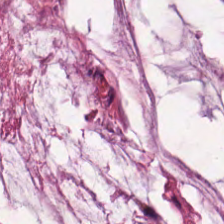This field is mucus.
